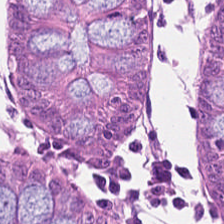Hematoxylin-and-eosin stained section — Predominant tissue — non-neoplastic colon mucosa.
